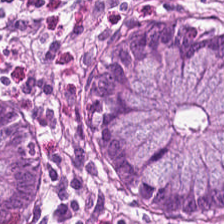0.5 microns per pixel. 224×224 px tile. H&E-stained tissue section. Impression → normal colonic mucosa.
